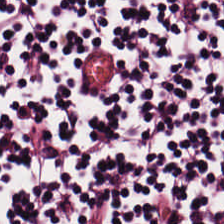224×224 pixel tile; FFPE tissue section; hematoxylin-and-eosin stained section. This field is lymphoid infiltrate.
